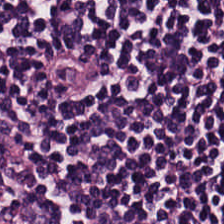Hematoxylin-and-eosin stained section · 0.5 microns per pixel · FFPE.
Q: What tissue is shown?
A: The field shows lymphocytic infiltrate.
